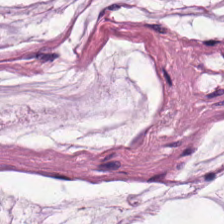H&E-stained tissue section — Predominantly extracellular mucin.
